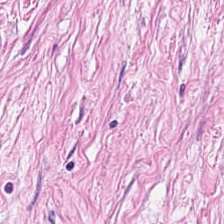20× equivalent magnification. Formalin-fixed paraffin-embedded section. H&E-stained tissue section. Tissue = tumor-associated stroma.
